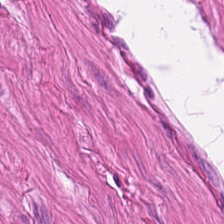H&E-stained tissue section. 224×224 px patch. Predominantly muscularis.
